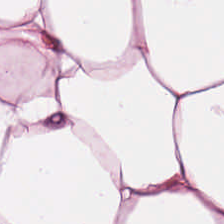224×224 px patch. FFPE tissue section. H&E stain.
This field is adipocytes.
